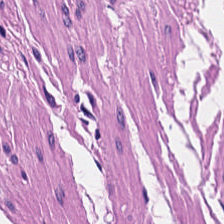H&E-stained section; the field shows smooth-muscle tissue.
